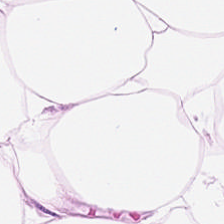H&E patch showing fat tissue.
